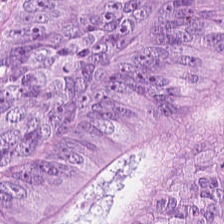20× equivalent magnification · hematoxylin-and-eosin stained section · whole-slide-image patch. This field is colorectal adenocarcinoma.
